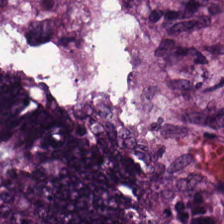WSI patch. H&E stain. This field is colorectal adenocarcinoma.
